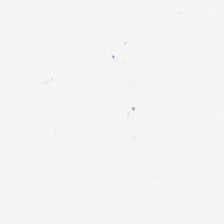Field content = background (no tissue).
